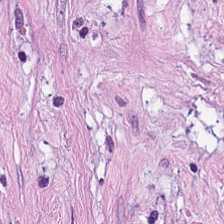Hematoxylin-and-eosin stained section. The predominant tissue is desmoplastic stroma.
